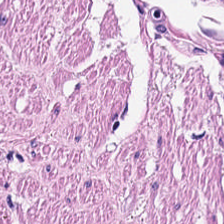224×224 px tile; brightfield microscopy; H&E — The tissue here is smooth muscle.
